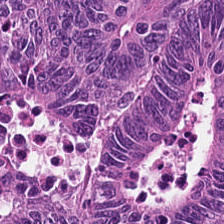Hematoxylin and eosin. Tissue type — colorectal adenocarcinoma epithelium.
